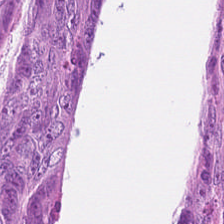224×224 px patch · H&E-stained tissue section — {"tissue_type": "tumor epithelium"}
